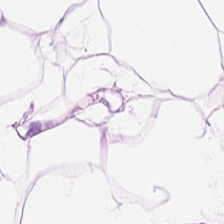Brightfield. Hematoxylin-and-eosin stained section — This patch shows adipose tissue.
